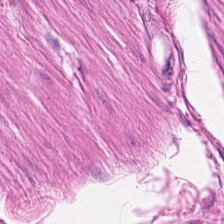H&E-stained section; the field shows smooth-muscle tissue.
